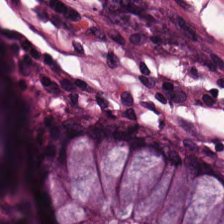0.5 µm per pixel; H&E-stained tissue section — The tissue type is normal colon mucosa.
